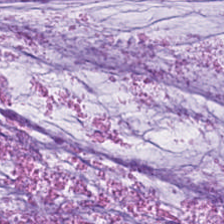Hematoxylin and eosin. Predominantly mucin.
